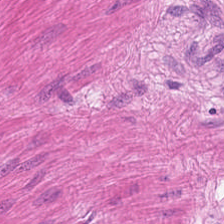Tissue class — muscularis.
